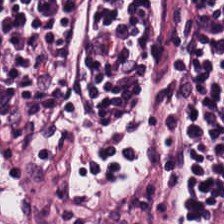Q: What is shown in this field?
A: The field shows lymphocytic infiltrate.
